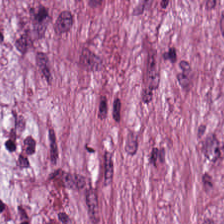H&E-stained tissue section. Q: What type of tissue is this?
A: This is tumor-associated stroma.
